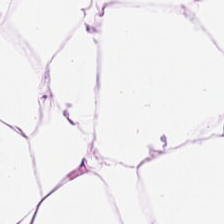Hematoxylin and eosin; brightfield.
Q: What is shown in this field?
A: This is fat tissue.
